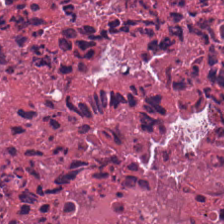Hematoxylin-and-eosin stained section.
Q: What tissue type is shown here?
A: It is cellular debris.
